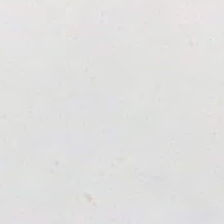20× equivalent magnification; H&E; 224×224 pixel tile.
Q: What is shown here?
A: No tissue.
